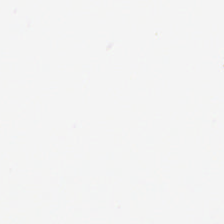Q: What does this patch show?
A: It is background.
